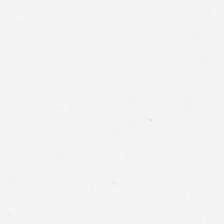Histology — empty background.
